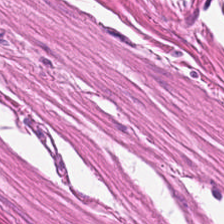Hematoxylin-and-eosin section: smooth-muscle tissue.
